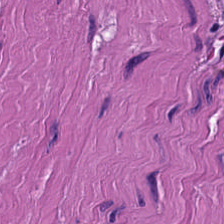Showing smooth muscle.
